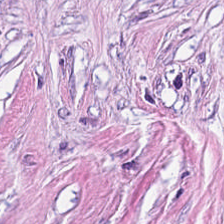H&E — The tissue here is tumor stroma.
